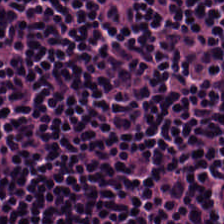Stain: H&E stain.
Resolution: 0.5 microns per pixel.
Acquisition: brightfield.
Predominant tissue: lymphocyte aggregate.
